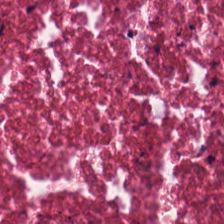H&E stain — Predominantly cellular debris.
